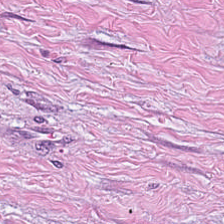Hematoxylin and eosin — Tissue class — cancer-associated stroma.
